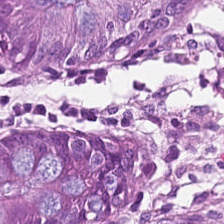Predominant tissue = non-neoplastic colon mucosa.
